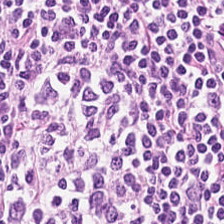H&E stain. 224×224 pixel tile.
This patch shows lymphocytic infiltrate.
